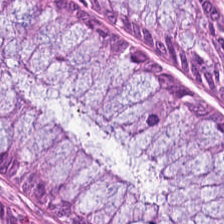H&E stain. Showing non-neoplastic colon mucosa.
